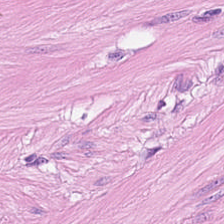Hematoxylin-and-eosin stained section. Classification = smooth-muscle tissue.
